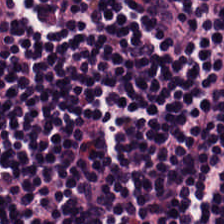Stain: H&E-stained tissue section.
Classification: lymphocytes.
